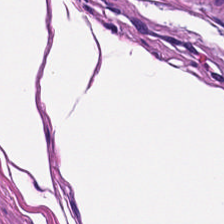Stain: H&E-stained tissue section.
Tissue class: muscularis.
